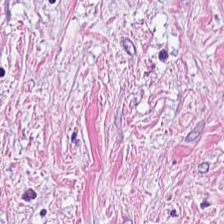WSI patch; hematoxylin and eosin; 0.5 µm/px.
The predominant tissue is cancer-associated stroma.
